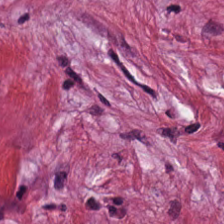Q: Classify this patch.
A: This is desmoplastic stroma.
